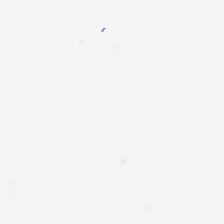Hematoxylin-and-eosin stained section — This patch shows background.
